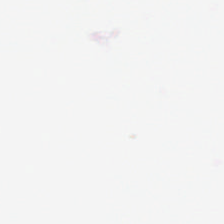H&E-stained tissue section — Q: What is shown in this field?
A: Background (no tissue).
